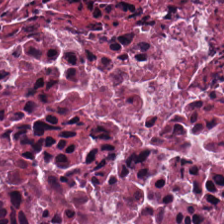224×224 px patch; H&E. Tissue — cellular debris.
